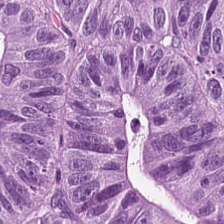Tissue class: colorectal adenocarcinoma epithelium.
